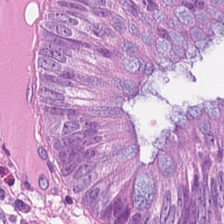{"tissue_type": "colorectal adenocarcinoma epithelium"}
